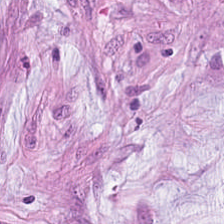Formalin-fixed paraffin-embedded section · hematoxylin-and-eosin stained section. Impression — mucus.
